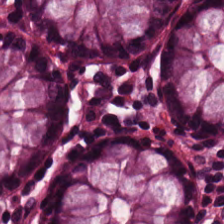224×224 pixel tile. H&E — Impression — normal colonic mucosa.
